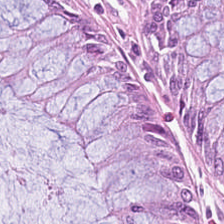{"tissue_type": "normal colon mucosa"}
